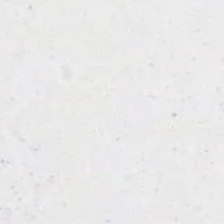Stain: H&E stain.
Acquisition: brightfield.
Content: background.
